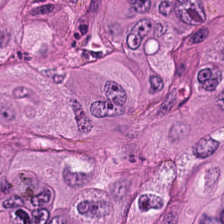Brightfield microscopy; hematoxylin and eosin; 20× equivalent magnification — The tissue type is adenocarcinoma.
